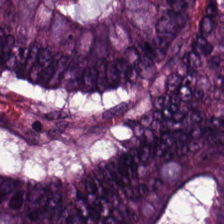Hematoxylin and eosin — Classification — colorectal adenocarcinoma.
